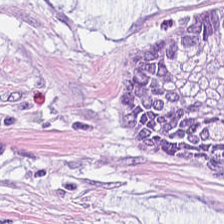FFPE tissue section. 224×224 px patch. H&E — Tissue class — mucin.
